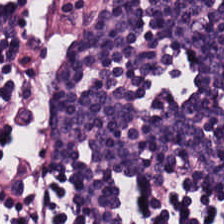Hematoxylin and eosin — This patch shows lymphocytic infiltrate.
